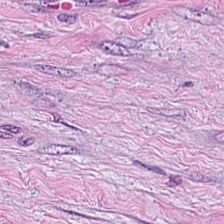H&E stain — Tissue: tumor-associated stroma.
